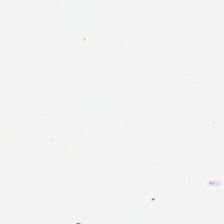Impression — background.
